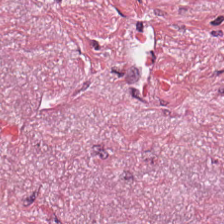Stain: H&E.
Predominant tissue: tumor-associated stroma.
